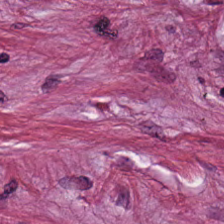Impression → cancer-associated stroma.
